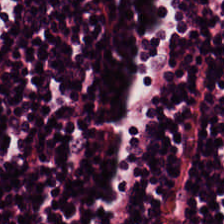Stain: H&E.
Tissue type: lymphocytic infiltrate.
